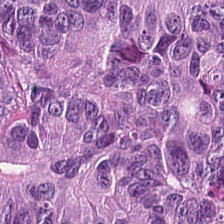Q: What does this patch show?
A: Adenocarcinoma.
